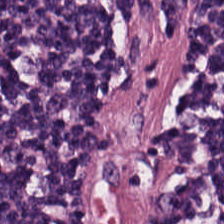224×224 pixel tile; H&E stain. Tissue type: lymphocyte aggregate.
